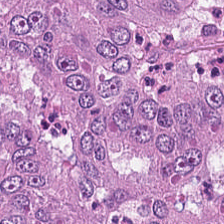H&E.
This patch shows malignant epithelium.
